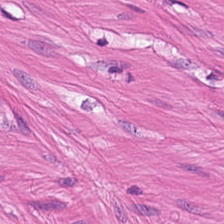Predominant tissue = smooth-muscle tissue.
